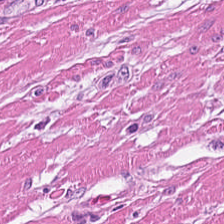Hematoxylin and eosin; 0.5 µm per pixel — Tissue — smooth-muscle tissue.
